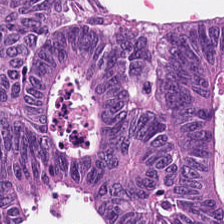H&E-stained tissue section.
{"tissue_type": "tumor epithelium"}
